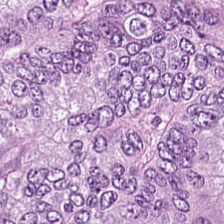0.5 µm/px; hematoxylin-and-eosin stained section.
Tissue class = tumor epithelium.
